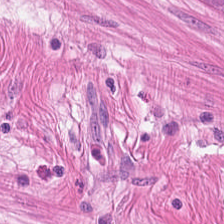H&E stain. The tissue here is muscularis.
